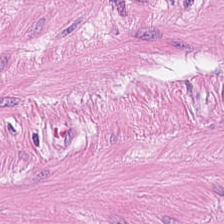H&E. FFPE. Whole-slide-image patch. Muscularis.
